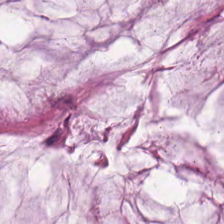H&E.
Tissue class = mucus.
